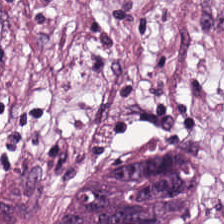H&E-stained tissue section. Predominantly tumor-associated stroma.
